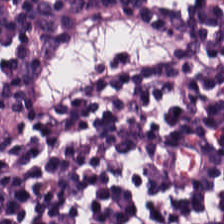H&E-stained tissue section; FFPE. This patch shows lymphocyte aggregate.
